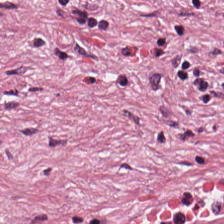Hematoxylin-and-eosin stained section. The tissue here is cancer-associated stroma.
